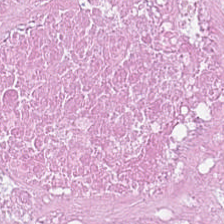The classification is cellular debris.
